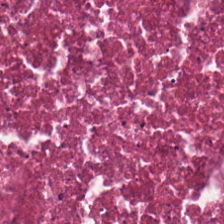Formalin-fixed paraffin-embedded section. H&E stain — Q: What is the predominant tissue type?
A: Debris.
